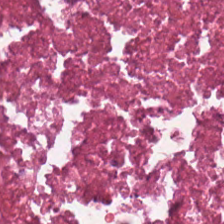H&E-stained section; the field shows necrotic debris.
